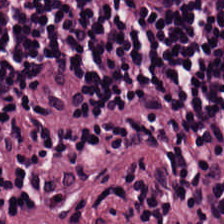Stain: hematoxylin and eosin.
Tile size: 224×224 px patch.
Preparation: FFPE tissue section.
Tissue type: lymphocyte aggregate.
